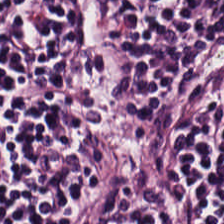224×224 px patch · hematoxylin-and-eosin stained section · WSI patch.
This field is lymphocyte aggregate.
